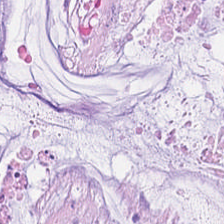The predominant tissue is mucin.
